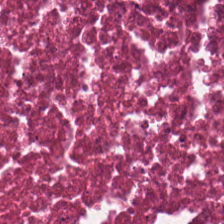Q: What is shown here?
A: Cellular debris.
